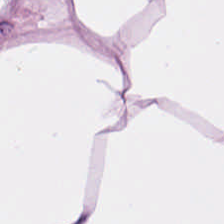Hematoxylin-and-eosin stained section.
Q: What is shown in this field?
A: Adipose tissue.
